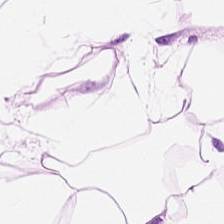Hematoxylin and eosin.
Showing adipose tissue.
